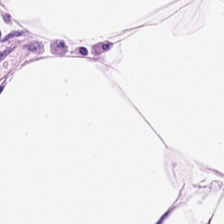Finding — adipose tissue.
